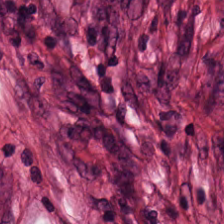This patch shows tumor stroma.
